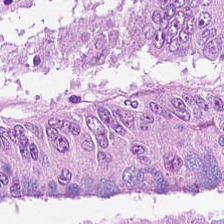0.5 µm/px; WSI patch; H&E-stained tissue section. Q: Classify this patch.
A: The field shows adenocarcinoma.
